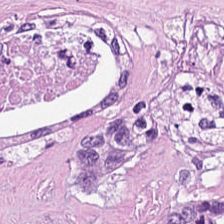Hematoxylin-and-eosin stained section.
This patch shows cellular debris.
